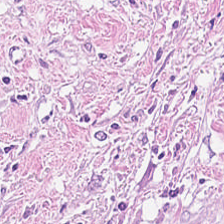Hematoxylin-and-eosin stained section. This patch shows desmoplastic stroma.
